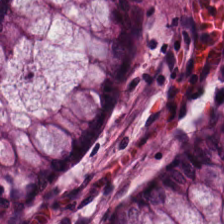Benign colonic mucosa.
